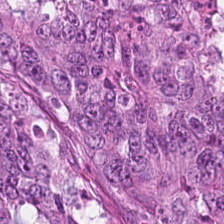FFPE; 20× equivalent magnification; hematoxylin-and-eosin stained section — Showing colorectal adenocarcinoma.
